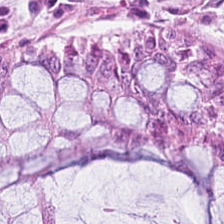H&E — Finding — normal colon mucosa.
